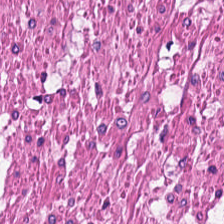H&E-stained tissue section; 224×224 pixel tile; 0.5 microns per pixel.
Predominantly smooth-muscle tissue.
